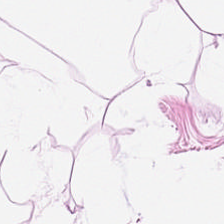Hematoxylin-and-eosin stained section — Showing fat tissue.
